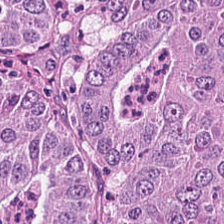224×224 px patch; H&E stain. Predominantly adenocarcinoma.
